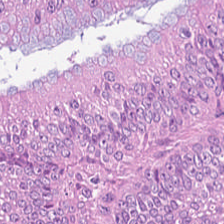Hematoxylin-and-eosin stained section.
Impression → adenocarcinoma.
